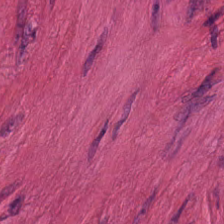20× equivalent magnification; H&E — Predominantly smooth-muscle tissue.
